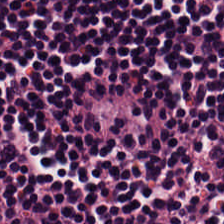H&E · formalin-fixed paraffin-embedded section · brightfield microscopy.
This patch shows lymphocyte aggregate.
